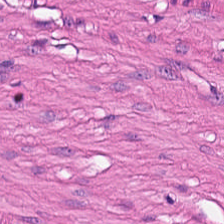The tissue here is muscularis.
